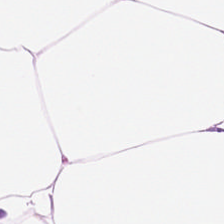Hematoxylin and eosin · 0.5 µm per pixel · 224×224 px tile — Impression — adipose.
